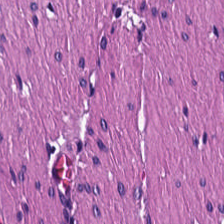224×224 px patch · brightfield · H&E-stained tissue section. Predominantly smooth muscle.
